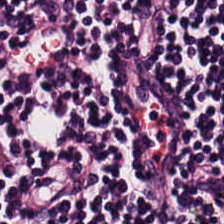H&E · FFPE tissue section.
Histology — lymphoid infiltrate.
